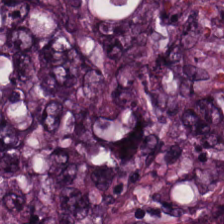H&E-stained tissue section. The tissue here is malignant epithelium.
